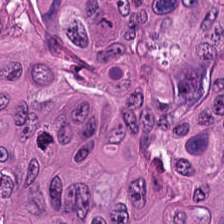H&E stain; 224×224 px patch — Tissue type: tumor epithelium.
